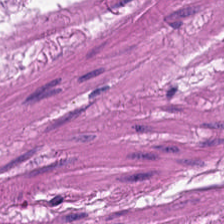H&E-stained tissue section — Predominantly smooth muscle.
